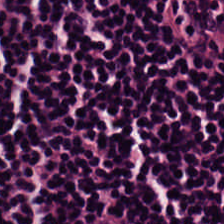Finding → lymphocytes.
